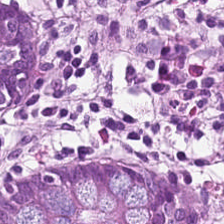Hematoxylin and eosin — Tissue type = benign colonic mucosa.
